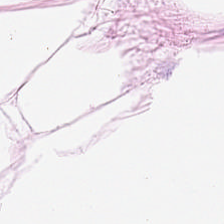0.5 µm/px; hematoxylin and eosin. The tissue class is adipose tissue.
